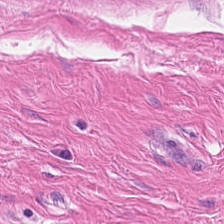FFPE tissue section · H&E · 0.5 µm per pixel — Tissue type = muscularis.
